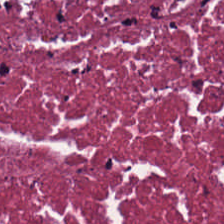Hematoxylin and eosin.
The tissue here is cellular debris.
